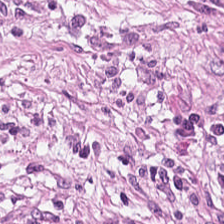Q: Identify the tissue.
A: The field shows tumor-associated stroma.
